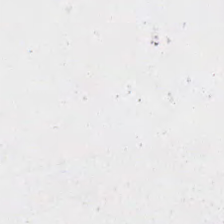H&E-stained tissue section. Field content = background.
